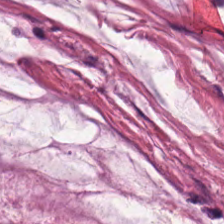Stain: H&E stain.
Tissue type: mucus.
